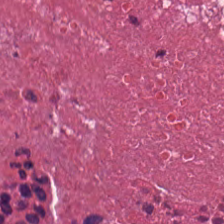FFPE tissue section. Hematoxylin and eosin. 0.5 microns per pixel — Cellular debris.
